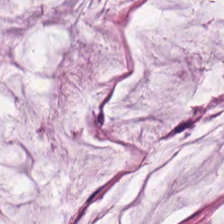Hematoxylin-and-eosin stained section — Q: Identify the tissue.
A: The field shows extracellular mucin.
